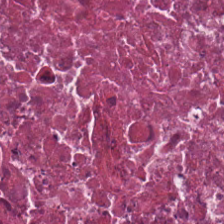224×224 pixel tile · 0.5 µm/px · H&E stain. Tissue — debris.
